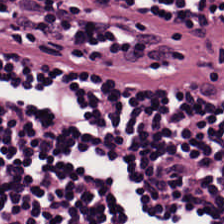Formalin-fixed paraffin-embedded section; hematoxylin and eosin; brightfield. Q: Identify the tissue.
A: It is lymphocytic infiltrate.
